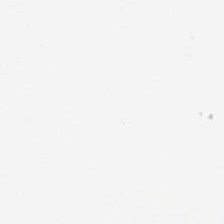Hematoxylin and eosin.
No tissue present; background only.
